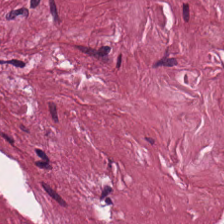Stain: hematoxylin-and-eosin stained section.
Tissue: cancer-associated stroma.
